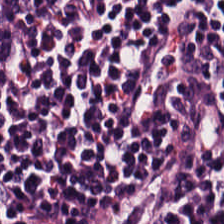Formalin-fixed paraffin-embedded section. 0.5 µm/px. Hematoxylin-and-eosin stained section. Q: What type of tissue is this?
A: This is lymphocytic infiltrate.
